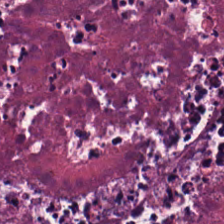FFPE tissue section · hematoxylin and eosin. Q: Classify this patch.
A: Debris.
